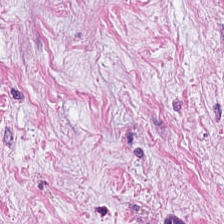Tumor-associated stroma.
